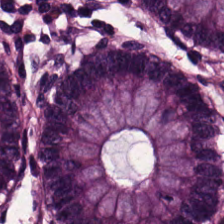H&E patch showing non-neoplastic colon mucosa.
